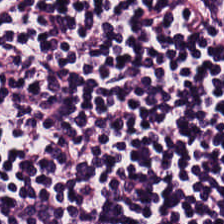224×224 px tile · hematoxylin-and-eosin stained section · FFPE.
Tissue class = lymphocytic infiltrate.
